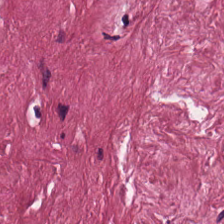Stain: H&E stain.
Tissue class: desmoplastic stroma.
